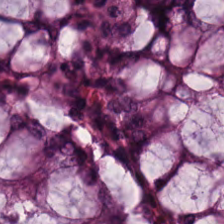0.5 microns per pixel · brightfield microscopy · hematoxylin-and-eosin stained section.
Histology — benign colonic mucosa.
